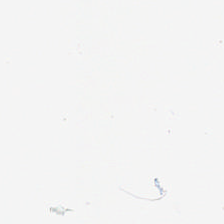H&E-stained tissue section.
Background (no tissue).
